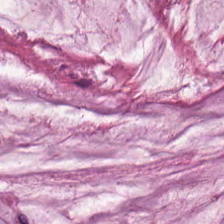H&E-stained tissue section. Tissue = mucus.
